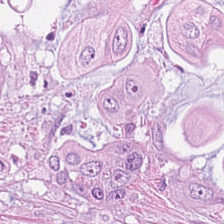Histology — tumor epithelium.
